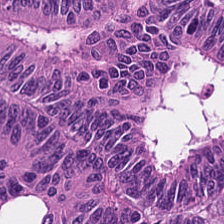H&E-stained tissue section. FFPE tissue section. 20× equivalent magnification.
Predominantly colorectal adenocarcinoma epithelium.
